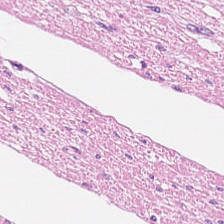0.5 microns per pixel; H&E stain; whole-slide-image patch.
Q: What is shown in this field?
A: It is smooth muscle.
